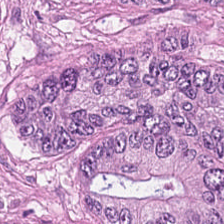H&E — Tissue type — colorectal adenocarcinoma epithelium.
